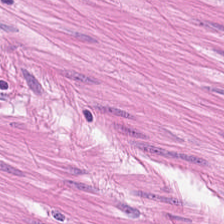Hematoxylin-and-eosin stained section. This patch shows smooth-muscle tissue.
